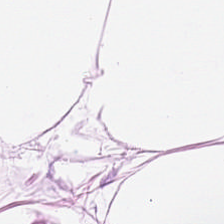Hematoxylin and eosin; brightfield; 224×224 px patch.
Q: What is the predominant tissue type?
A: This is adipose tissue.
